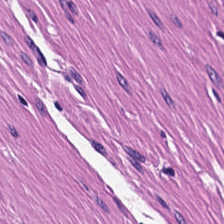Hematoxylin-and-eosin stained section · 0.5 microns per pixel · 224×224 pixel tile. Histology — smooth muscle.
